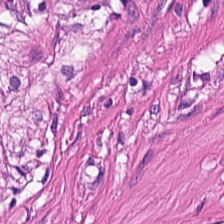H&E · FFPE tissue section · 224×224 pixel tile — Q: What type of tissue is this?
A: The field shows smooth-muscle tissue.
